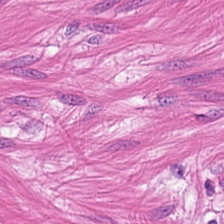Hematoxylin and eosin.
Tissue type = smooth muscle.
